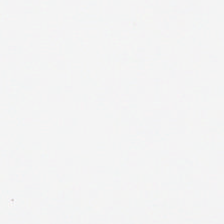H&E stain.
Field content — no tissue.
